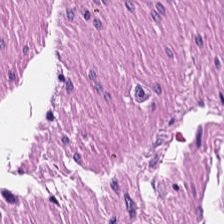H&E-stained section; the field shows muscularis.
